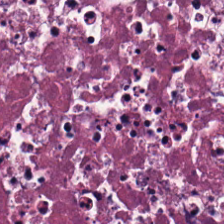H&E-stained tissue section. The predominant tissue is debris.
